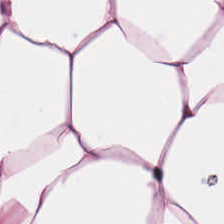H&E-stained tissue section.
Predominant tissue — adipose.
